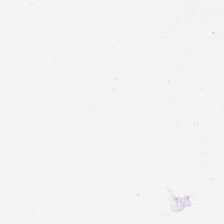H&E-stained tissue section — Q: Classify this patch.
A: This is empty background.
